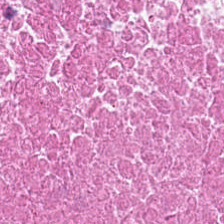H&E stain · whole-slide-image patch — Finding → cellular debris.
